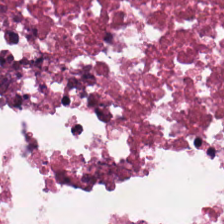Hematoxylin-and-eosin stained section.
The predominant tissue is debris.
